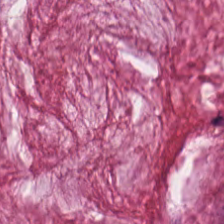Stain: H&E-stained tissue section.
Classification: mucin.
